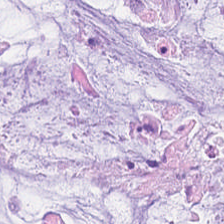H&E stain.
{"tissue_type": "mucin"}
